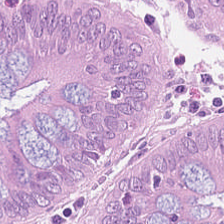Showing normal colonic mucosa.
